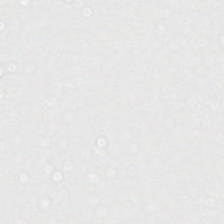Hematoxylin-and-eosin stained section. FFPE tissue section. Whole-slide-image patch.
Content: no tissue.
